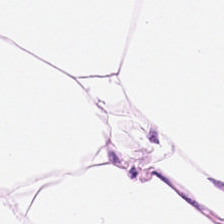H&E.
This field is fat tissue.
